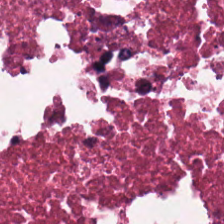Hematoxylin-and-eosin stained section. {"tissue_type": "cellular debris"}
